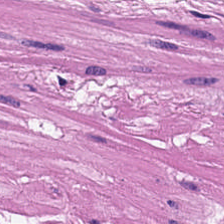H&E-stained tissue section.
Showing muscularis.
